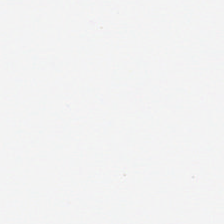Hematoxylin-and-eosin stained section · brightfield microscopy.
Background — no tissue in this field.
